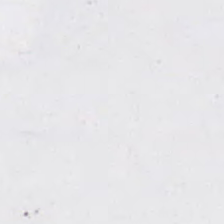Stain: hematoxylin-and-eosin stained section.
Acquisition: brightfield.
Field content: background.
